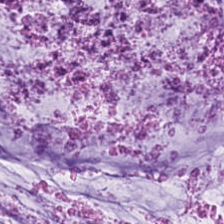Hematoxylin and eosin. Brightfield microscopy — This field is mucin.
